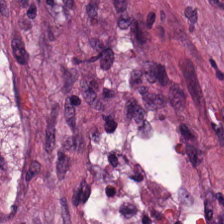H&E stain · 224×224 px patch. Tumor stroma.
